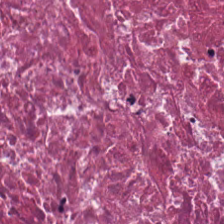0.5 microns per pixel. FFPE tissue section. H&E — Predominant tissue — cellular debris.
